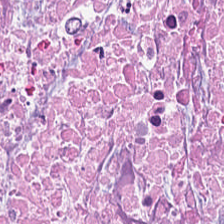Stain: H&E.
Tile size: 224×224 px tile.
Tissue: debris.
